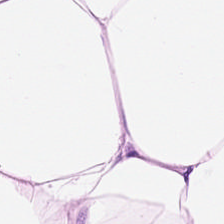Tissue type = fat tissue.
